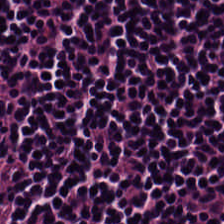Q: What tissue type is shown here?
A: It is lymphocytic infiltrate.
